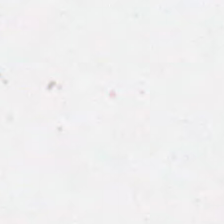Hematoxylin and eosin; 224×224 px tile — Finding → background.
